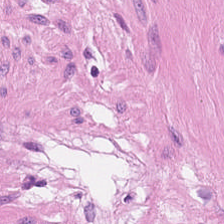H&E stain — Histology — muscularis.
